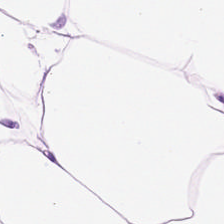Hematoxylin and eosin. 20× equivalent magnification. This patch shows adipose tissue.
